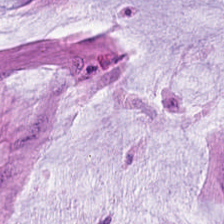The classification is mucus.
